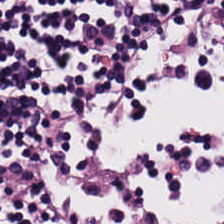Hematoxylin-and-eosin stained section.
Showing lymphocytic infiltrate.
